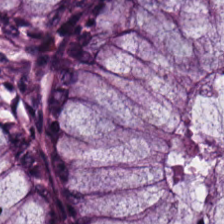H&E-stained tissue section — Q: What tissue type is shown here?
A: The field shows benign colonic mucosa.
